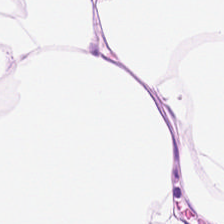Histology → adipose.
